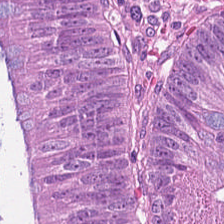The predominant tissue is colorectal adenocarcinoma.
